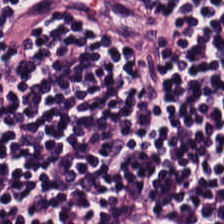Formalin-fixed paraffin-embedded section; H&E; 224×224 px tile.
Lymphoid infiltrate.
